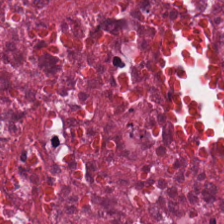0.5 µm/px · H&E stain.
This patch shows debris.
